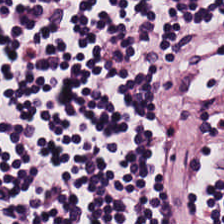Stain: H&E stain.
Predominant tissue: lymphoid infiltrate.
